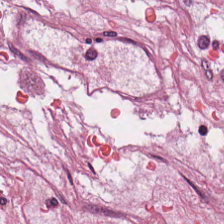H&E · 0.5 µm/px.
Finding → tumor-associated stroma.
